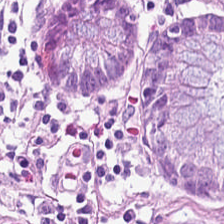Stain: hematoxylin and eosin.
Preparation: FFPE.
Classification: non-neoplastic colon mucosa.
